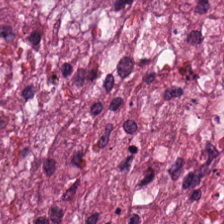224×224 pixel tile. H&E. Brightfield microscopy.
This patch shows cellular debris.
